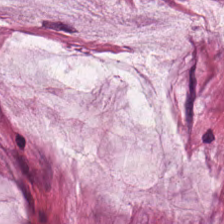Stain: H&E.
Predominant tissue: mucus.
